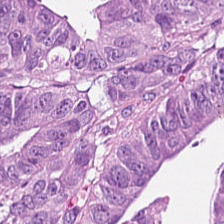Classification — adenocarcinoma.
